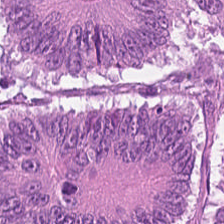0.5 µm per pixel; H&E-stained tissue section; brightfield microscopy — Showing colorectal adenocarcinoma epithelium.
